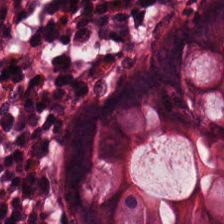Brightfield. Hematoxylin-and-eosin stained section. 224×224 px patch — This field is normal colonic mucosa.
